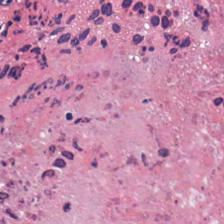Hematoxylin-and-eosin stained section. Whole-slide-image patch — Showing debris.
